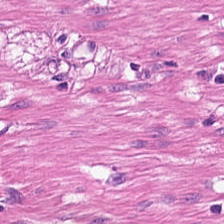Predominant tissue = smooth-muscle tissue.
